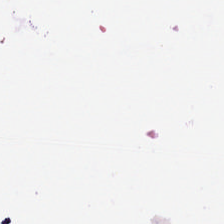0.5 µm/px · H&E · brightfield. Field content — no tissue.
